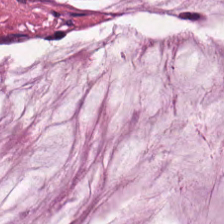Hematoxylin-and-eosin stained section. WSI patch.
This patch shows mucus.
